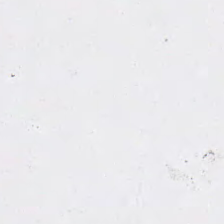Hematoxylin and eosin.
Finding — empty background.
